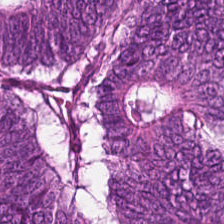224×224 pixel tile. H&E stain.
The predominant tissue is adenocarcinoma.
